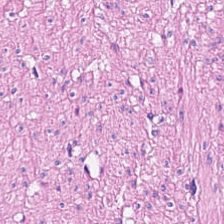Brightfield microscopy · H&E stain · 20× equivalent magnification — Q: What is shown here?
A: This is smooth-muscle tissue.
